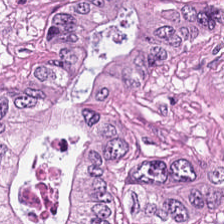H&E. FFPE.
Q: What is shown here?
A: It is adenocarcinoma.
